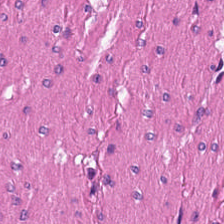H&E; 224×224 px patch; 0.5 µm/px — Q: Identify the tissue.
A: It is smooth-muscle tissue.
